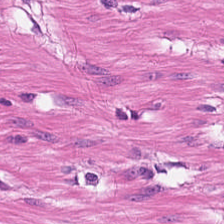H&E-stained tissue section — Impression → smooth-muscle tissue.
